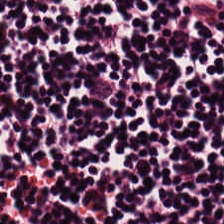Stain: hematoxylin and eosin.
Tissue class: lymphoid infiltrate.
